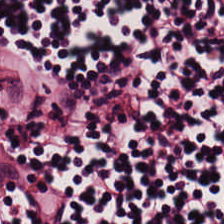Hematoxylin-and-eosin stained section.
Predominant tissue — lymphocytes.
